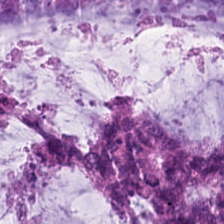H&E-stained tissue section. Tissue: mucus.
